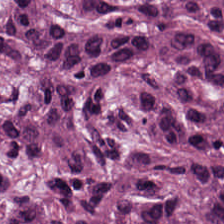H&E-stained tissue section — Q: What is the predominant tissue type?
A: The field shows colorectal adenocarcinoma.
